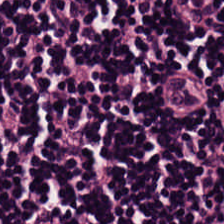Hematoxylin and eosin — Tissue class: lymphoid infiltrate.
